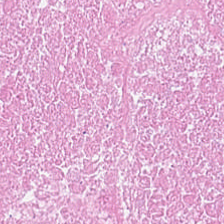FFPE. 0.5 µm per pixel. H&E.
Q: What is shown in this field?
A: Necrotic debris.
